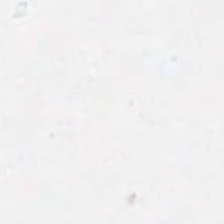No tissue present; background only.
